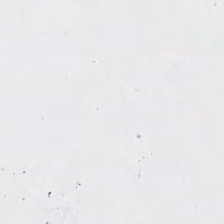H&E-stained tissue section — The content is background.
